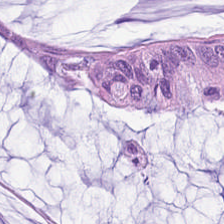Stain: H&E.
Tissue class: mucus.
